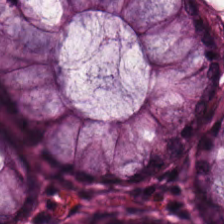H&E-stained tissue section.
This patch shows normal colon mucosa.
